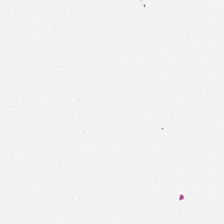H&E — No tissue present; background only.
